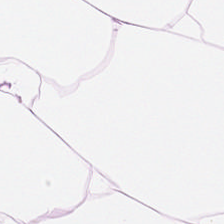Hematoxylin and eosin. Formalin-fixed paraffin-embedded section. The predominant tissue is fat tissue.
